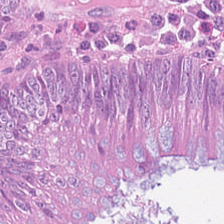Hematoxylin-and-eosin stained section; 224×224 px tile — The tissue is tumor epithelium.
